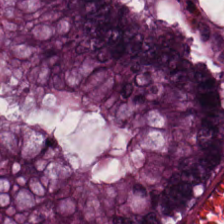Hematoxylin-and-eosin stained section; FFPE tissue section. Histology → benign colonic mucosa.
